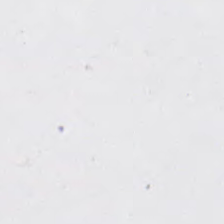224×224 pixel tile · hematoxylin and eosin · formalin-fixed paraffin-embedded section.
No tissue present; background only.
